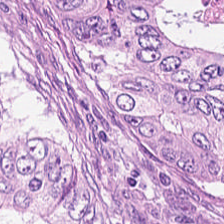H&E-stained tissue section — This patch shows adenocarcinoma.
